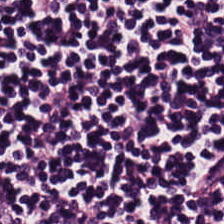H&E-stained tissue section. Tissue type — lymphocyte aggregate.
